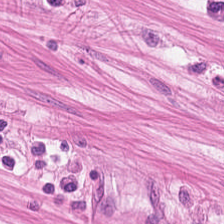H&E-stained tissue section.
This field is muscularis.
